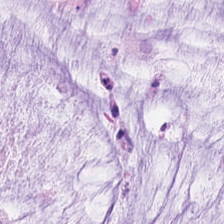H&E-stained tissue section showing mucin.
